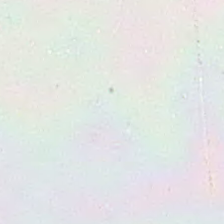H&E stain. No tissue present; background only.
